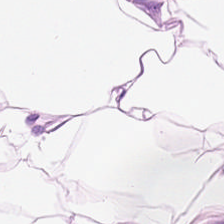FFPE; H&E — Finding — adipocytes.
